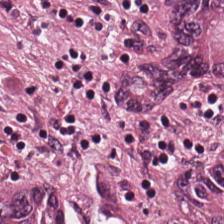H&E patch showing colorectal adenocarcinoma.
